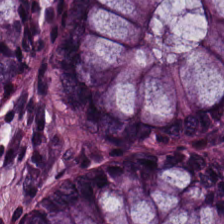Stain: H&E stain.
Classification: non-neoplastic colon mucosa.
